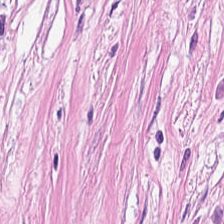H&E-stained tissue section. Impression — tumor stroma.
